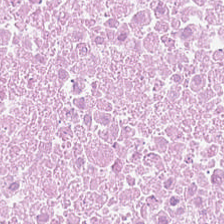Hematoxylin-and-eosin stained section. The tissue is necrotic debris.
